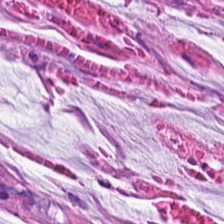224×224 px tile. Whole-slide-image patch. H&E-stained tissue section. Predominant tissue = extracellular mucin.
